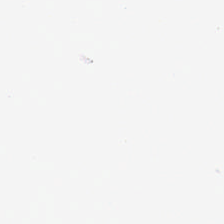Hematoxylin-and-eosin stained section; 224×224 px tile — Classification — background.
